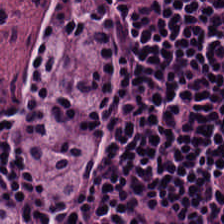Hematoxylin and eosin. WSI patch.
Predominant tissue = lymphocyte aggregate.
